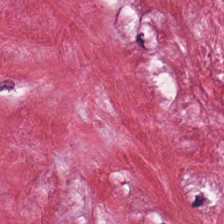H&E.
This patch shows desmoplastic stroma.
